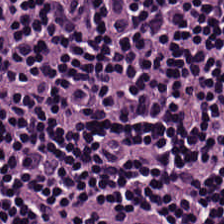H&E. Formalin-fixed paraffin-embedded section.
The tissue here is lymphocytic infiltrate.
